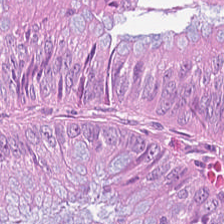Classification — malignant epithelium.
